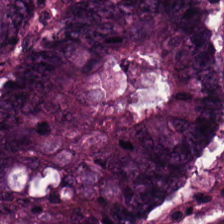Impression — colorectal adenocarcinoma.
